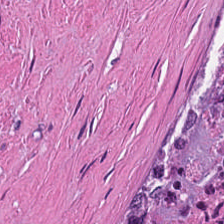H&E-stained section; the field shows necrotic debris.
